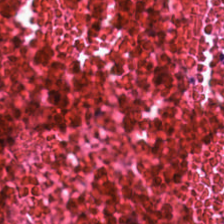Hematoxylin-and-eosin stained section.
Tissue class = necrotic debris.
